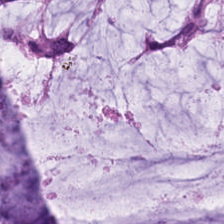The tissue here is mucin.
